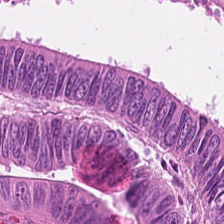Brightfield; 224×224 pixel tile; H&E.
Predominant tissue = adenocarcinoma.
